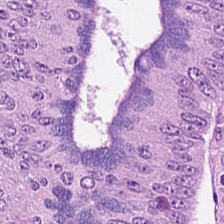Hematoxylin and eosin; FFPE tissue section.
This patch shows malignant epithelium.
